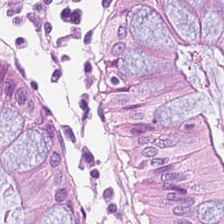Hematoxylin and eosin.
Finding — normal colonic mucosa.
